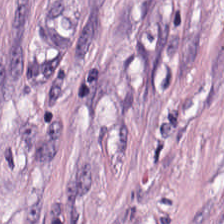H&E.
Q: Classify this patch.
A: The field shows cancer-associated stroma.
